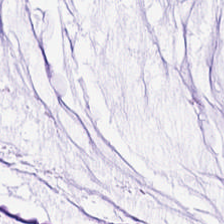H&E-stained tissue section showing extracellular mucin.
